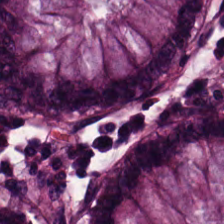FFPE tissue section. H&E.
The tissue is non-neoplastic colon mucosa.
